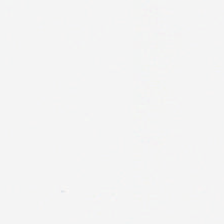Histology → no tissue.
